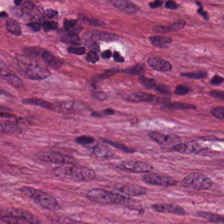Hematoxylin and eosin. This field is tumor-associated stroma.
